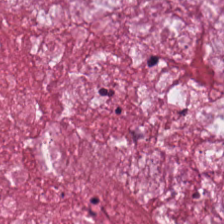224×224 px patch · 20× equivalent magnification · hematoxylin and eosin — The predominant tissue is extracellular mucin.
